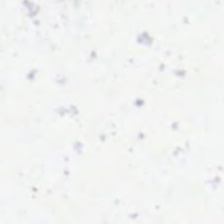Brightfield · H&E stain.
Empty field — empty background.
